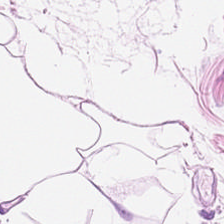0.5 µm per pixel · FFPE · H&E. Q: What tissue is shown?
A: This is adipose tissue.
